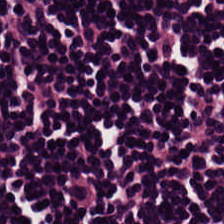H&E-stained tissue section.
The predominant tissue is lymphocytic infiltrate.
